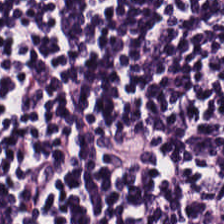224×224 px patch; H&E stain. Q: What is shown in this field?
A: Lymphocytic infiltrate.
